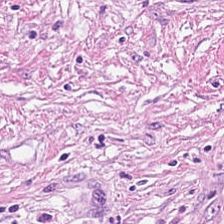Finding → tumor-associated stroma.
